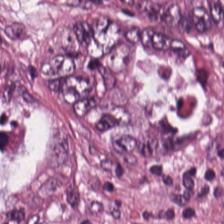Hematoxylin and eosin — The tissue here is malignant epithelium.
